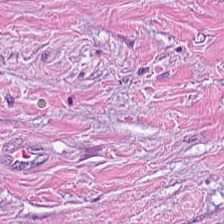FFPE tissue section · hematoxylin and eosin — Tissue class — desmoplastic stroma.
